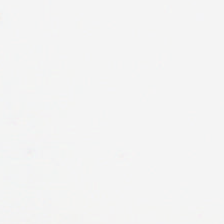Histology — empty background.
